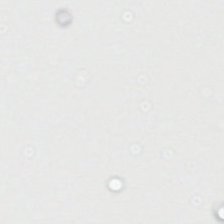H&E.
This field is background (no tissue).
